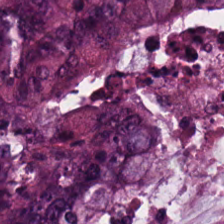Hematoxylin and eosin.
Classification = malignant epithelium.
